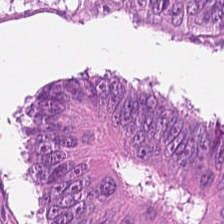Predominant tissue — adenocarcinoma.
